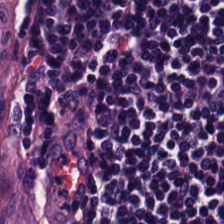The tissue type is lymphocytes.
